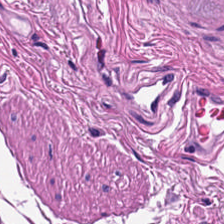FFPE. Hematoxylin and eosin.
Predominantly smooth-muscle tissue.
